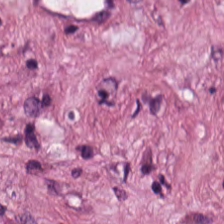H&E-stained tissue section; FFPE tissue section. {"tissue_type": "desmoplastic stroma"}
